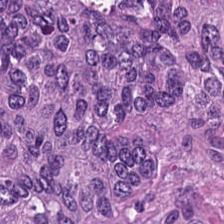Adenocarcinoma.
